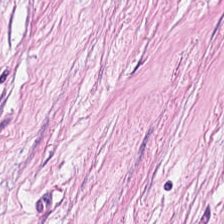Impression — desmoplastic stroma.
